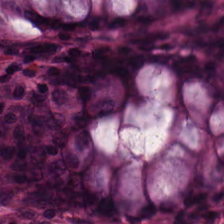Brightfield microscopy. H&E-stained tissue section — Predominantly benign colonic mucosa.
